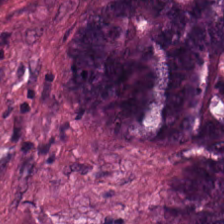H&E.
Colorectal adenocarcinoma epithelium.
